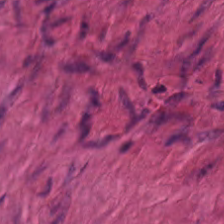H&E stain — Predominantly smooth-muscle tissue.
